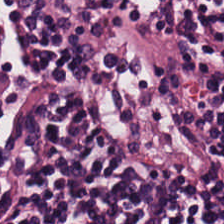H&E patch showing lymphocyte aggregate.
